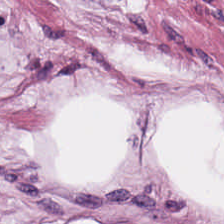Hematoxylin and eosin. Showing adipocytes.
